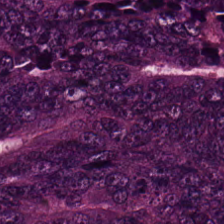224×224 px tile; H&E; 0.5 µm per pixel.
Histology — colorectal adenocarcinoma.
